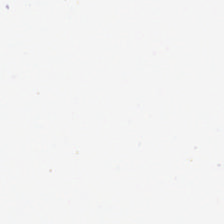Hematoxylin and eosin. Content — no tissue.
